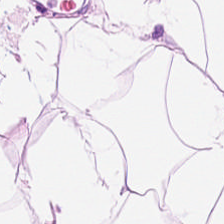Hematoxylin and eosin. Tissue class = fat tissue.
